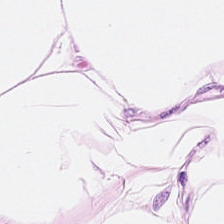Predominantly adipose tissue.
